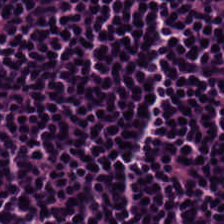Hematoxylin-and-eosin stained section. Classification — lymphocytic infiltrate.
